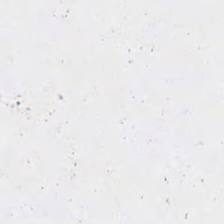Q: What is shown in this field?
A: It is background (no tissue).
